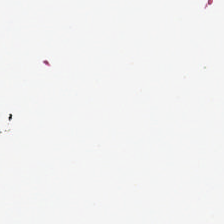Q: Classify this patch.
A: It is empty background.
